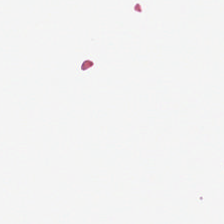Histology — background (no tissue).
